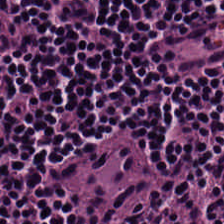Predominantly lymphocyte aggregate.
